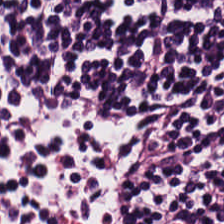Stain: hematoxylin-and-eosin stained section.
Classification: lymphocytes.
